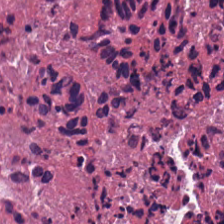H&E. FFPE tissue section. 0.5 µm/px.
Predominant tissue: necrotic debris.
